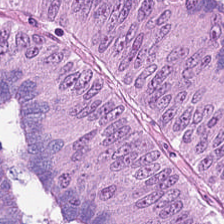H&E · 224×224 pixel tile — Tissue = malignant epithelium.
